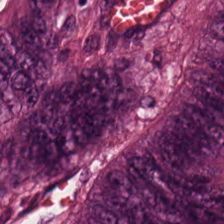The tissue here is mucin.
